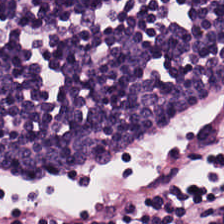The classification is lymphocytic infiltrate.
